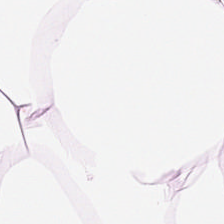Q: What is shown here?
A: The field shows adipocytes.
